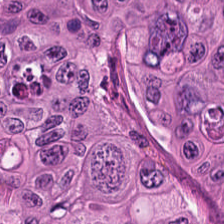Hematoxylin and eosin — This field is adenocarcinoma.
